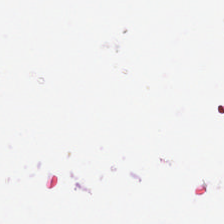Hematoxylin-and-eosin stained section. Field content = background (no tissue).
